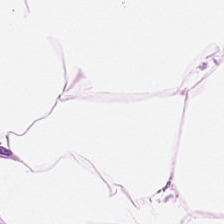Stain: hematoxylin-and-eosin stained section.
Acquisition: WSI patch.
Tile size: 224×224 px patch.
Classification: adipose tissue.
